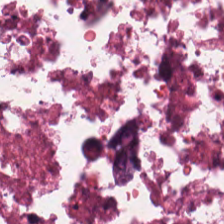Histology → necrotic debris.
